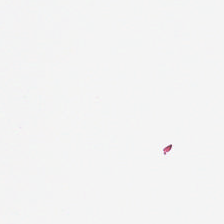FFPE; hematoxylin and eosin — This patch shows empty background.
